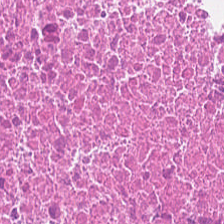H&E-stained tissue section · 224×224 pixel tile · whole-slide-image patch — Q: Identify the tissue.
A: Cellular debris.
